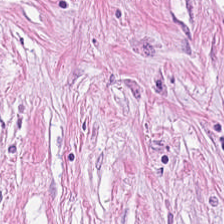Hematoxylin and eosin. Q: What is shown in this field?
A: This is tumor stroma.
